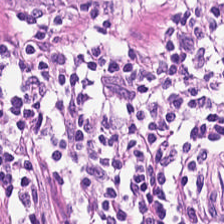H&E stain; 0.5 µm per pixel; FFPE tissue section — The predominant tissue is lymphoid infiltrate.
